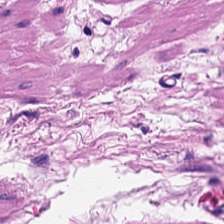H&E-stained tissue section.
Muscularis.
